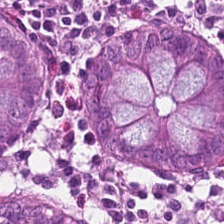H&E. The classification is normal colonic mucosa.
